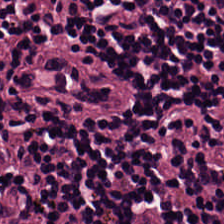WSI patch; H&E. This field is lymphocyte aggregate.
